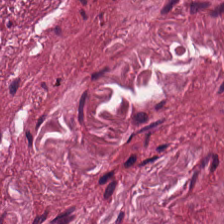H&E. Predominantly tumor-associated stroma.
